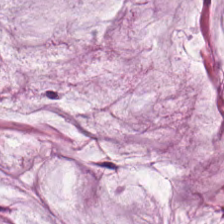H&E. Predominant tissue = mucus.
